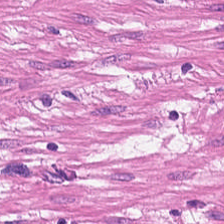H&E stain — Predominantly smooth-muscle tissue.
